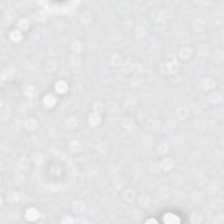20× equivalent magnification. H&E-stained tissue section. No tissue present; background only.
